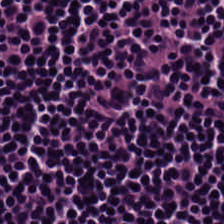H&E.
Lymphocytes.
